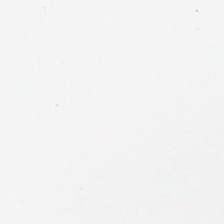Empty field — background.
